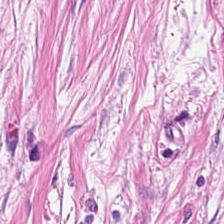H&E-stained tissue section; 0.5 µm per pixel — The classification is cancer-associated stroma.
